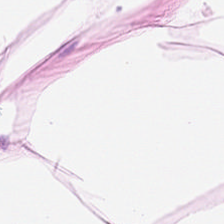H&E — Histology → fat tissue.
